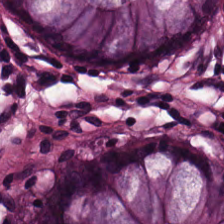Hematoxylin-and-eosin stained section. 224×224 px tile. The tissue is normal colonic mucosa.
